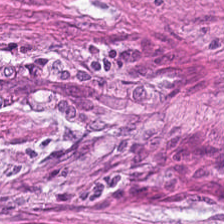Hematoxylin and eosin — Q: What is the predominant tissue type?
A: It is desmoplastic stroma.
